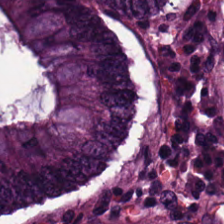224×224 px tile · H&E stain. Showing tumor epithelium.
